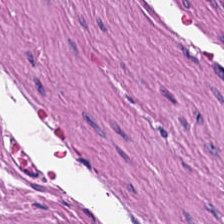Whole-slide-image patch. Hematoxylin and eosin. The predominant tissue is smooth muscle.
